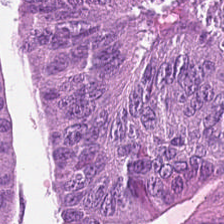The tissue type is malignant epithelium.
